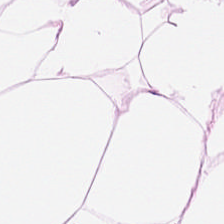Hematoxylin and eosin; 224×224 px patch — This field is fat tissue.
